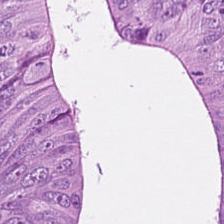Hematoxylin and eosin. Q: What tissue is shown?
A: The field shows colorectal adenocarcinoma.
